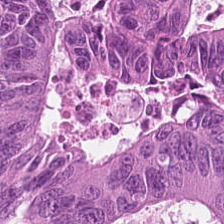H&E; 224×224 px patch. The predominant tissue is colorectal adenocarcinoma.
